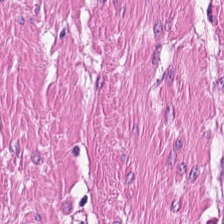Hematoxylin-and-eosin stained section. Q: What is shown in this field?
A: The field shows muscularis.
